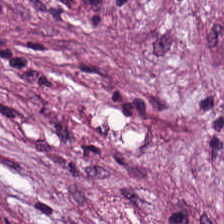H&E-stained section; the field shows tumor stroma.
